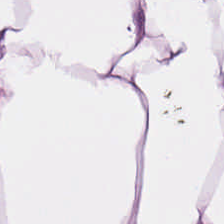Hematoxylin-and-eosin stained section.
Histology → adipocytes.
